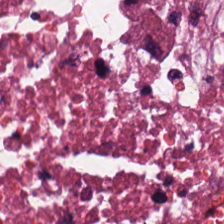Stain: hematoxylin and eosin.
Predominant tissue: necrotic debris.
